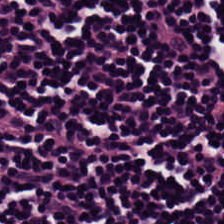H&E-stained tissue section. Q: What tissue is shown?
A: Lymphocytes.
